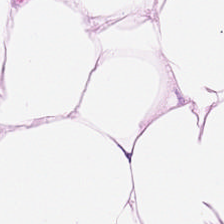Stain: H&E.
Tissue: adipose.
